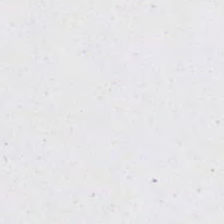This field is background (no tissue).
